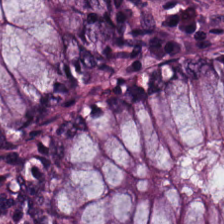Q: What tissue is shown?
A: This is normal colon mucosa.
